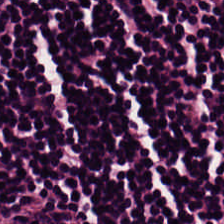H&E · brightfield — The tissue type is lymphocytes.
